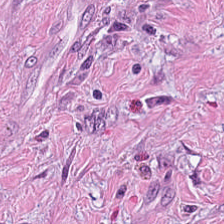Stain: hematoxylin and eosin.
Tissue type: tumor-associated stroma.
